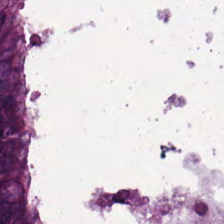Stain: hematoxylin and eosin.
Acquisition: WSI patch.
Resolution: 0.5 µm/px.
Predominant tissue: colorectal adenocarcinoma epithelium.
